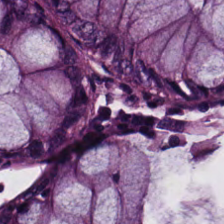Tissue — benign colonic mucosa.
